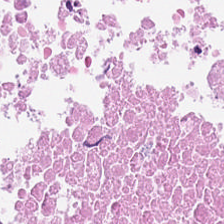WSI patch. Hematoxylin-and-eosin stained section. 0.5 µm/px.
Tissue class = cellular debris.
